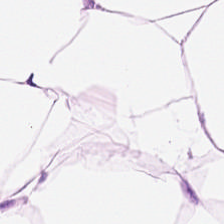Tissue type: adipose.
